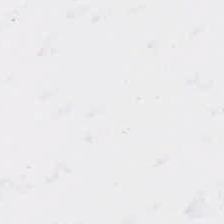Whole-slide-image patch · 224×224 pixel tile · H&E. Histology → empty background.
